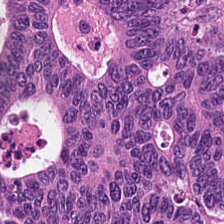Histology — malignant epithelium.
